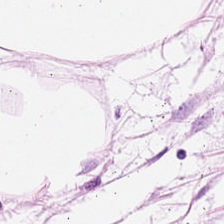Hematoxylin-and-eosin stained section · formalin-fixed paraffin-embedded section · 0.5 microns per pixel. Tissue = fat tissue.
